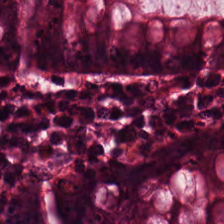0.5 µm per pixel; H&E.
Showing normal colonic mucosa.
